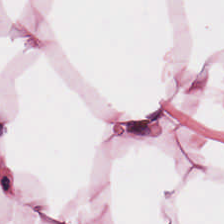H&E. Predominantly fat tissue.
